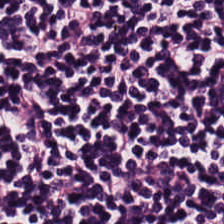20× equivalent magnification. H&E — The predominant tissue is lymphocytic infiltrate.
